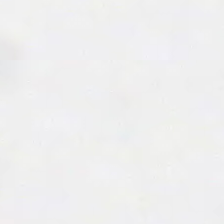Q: What does this patch show?
A: It is no tissue.
